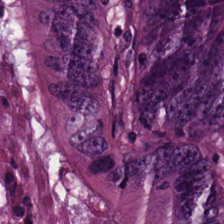Q: Classify this patch.
A: This is colorectal adenocarcinoma epithelium.
